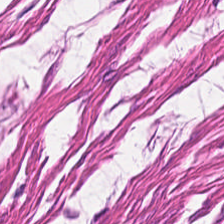Hematoxylin-and-eosin stained section; FFPE tissue section.
{"tissue_type": "smooth-muscle tissue"}
